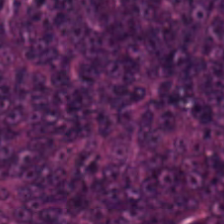Brightfield; H&E-stained tissue section. This field is colorectal adenocarcinoma.
